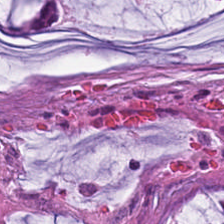FFPE tissue section; H&E stain.
{"tissue_type": "mucus"}
